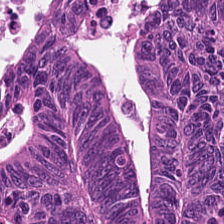H&E.
Q: Identify the tissue.
A: It is tumor epithelium.
